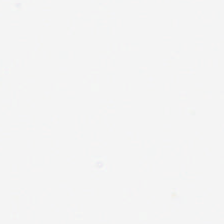H&E stain. 0.5 µm per pixel — Background — no tissue in this field.
